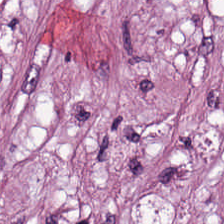H&E-stained tissue section — Showing tumor stroma.
